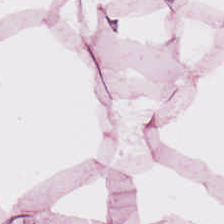Stain: hematoxylin and eosin.
Tissue: fat tissue.
